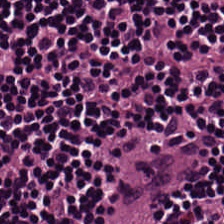Q: What is shown in this field?
A: Lymphocytic infiltrate.
